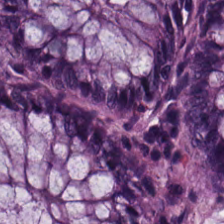224×224 pixel tile · H&E — The predominant tissue is normal colonic mucosa.
